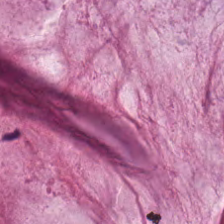Hematoxylin and eosin · FFPE tissue section · 224×224 pixel tile.
Q: What is the predominant tissue type?
A: It is extracellular mucin.
